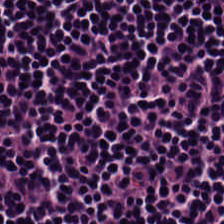H&E-stained tissue section; 224×224 px patch; brightfield microscopy — Tissue class — lymphocytes.
